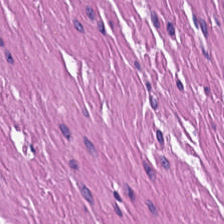Tissue class — smooth-muscle tissue.
